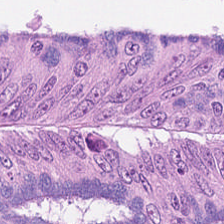H&E-stained tissue section · 0.5 microns per pixel · 224×224 pixel tile — Tissue type = colorectal adenocarcinoma.
